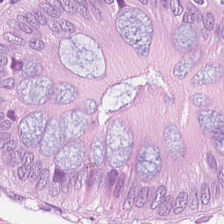Hematoxylin-and-eosin stained section — The tissue here is non-neoplastic colon mucosa.
